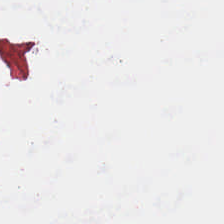The content is no tissue.
